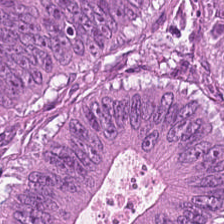Stain: H&E stain.
Acquisition: brightfield microscopy.
Tissue type: adenocarcinoma.
